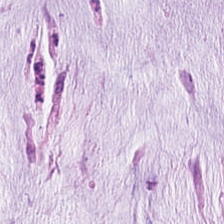Stain: hematoxylin-and-eosin stained section.
Tile size: 224×224 pixel tile.
Tissue: mucin.
